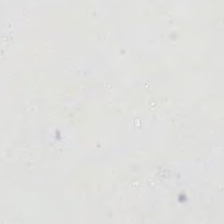Hematoxylin-and-eosin stained section. FFPE.
{"content": "background (no tissue)"}
